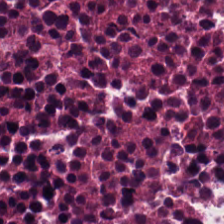H&E stain — Predominantly debris.
